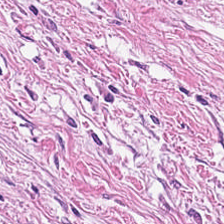Showing tumor-associated stroma.
